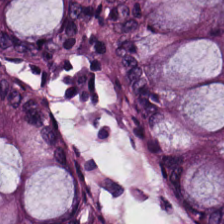H&E-stained tissue section.
Benign colonic mucosa.
